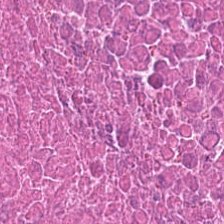0.5 µm per pixel. Hematoxylin-and-eosin stained section. 224×224 px tile.
Histology — debris.
